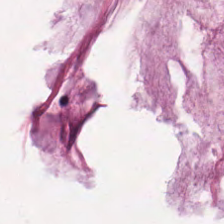Q: What tissue type is shown here?
A: This is mucin.
